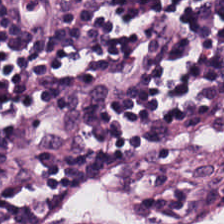H&E-stained tissue section. Impression → lymphocyte aggregate.
